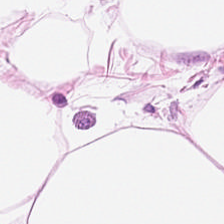H&E stain.
This field is adipose.
